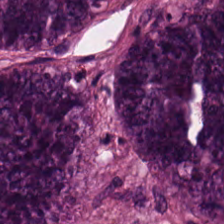H&E stain. Q: Classify this patch.
A: Malignant epithelium.
